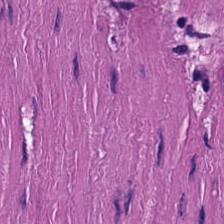Stain: hematoxylin and eosin.
Preparation: FFPE.
Classification: smooth muscle.
